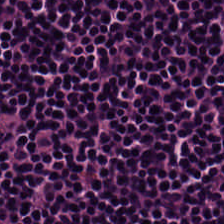H&E stain. The tissue is lymphoid infiltrate.
